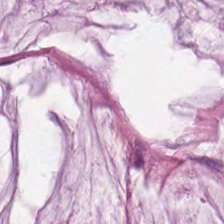224×224 pixel tile; formalin-fixed paraffin-embedded section; H&E-stained tissue section. This patch shows mucus.
